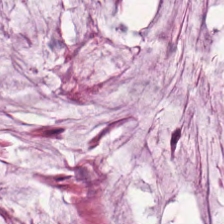H&E stain.
The tissue is extracellular mucin.
